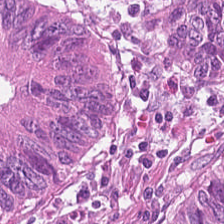Brightfield microscopy; formalin-fixed paraffin-embedded section; H&E-stained tissue section.
Tissue class — colorectal adenocarcinoma epithelium.
